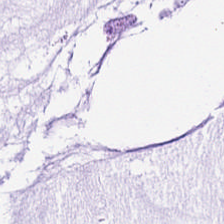Stain: hematoxylin-and-eosin stained section.
Tissue class: mucus.
